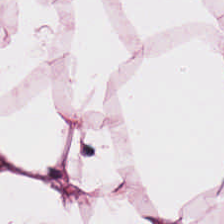0.5 µm/px; H&E; FFPE tissue section.
Finding → adipocytes.
